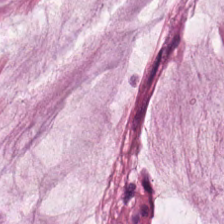This field is mucin.
